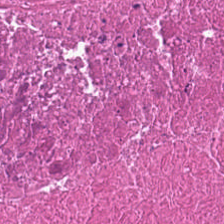The predominant tissue is necrotic debris.
